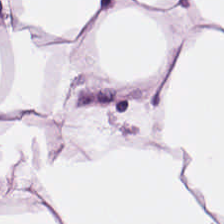H&E-stained tissue section — The predominant tissue is adipocytes.
